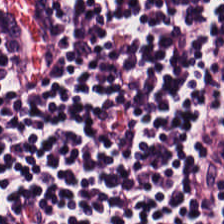Hematoxylin-and-eosin stained section · whole-slide-image patch — The tissue here is lymphocyte aggregate.
